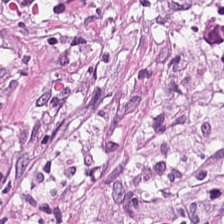H&E-stained tissue section — Showing desmoplastic stroma.
